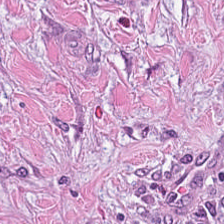Stain: H&E.
Tissue: tumor stroma.
